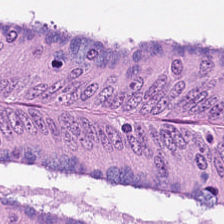H&E. 224×224 px patch. 20× equivalent magnification. Predominantly colorectal adenocarcinoma.
